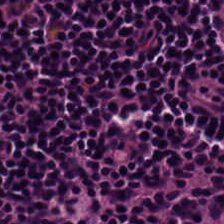H&E-stained tissue section — Predominantly lymphocytes.
